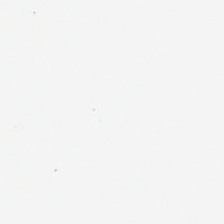Formalin-fixed paraffin-embedded section. H&E-stained tissue section — Field content = background (no tissue).
